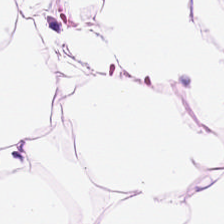Adipocytes.
